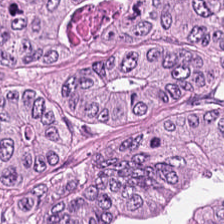Stain: hematoxylin-and-eosin stained section.
Classification: adenocarcinoma.
